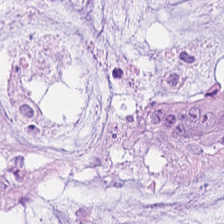H&E-stained tissue section. 0.5 microns per pixel.
Predominant tissue — extracellular mucin.
